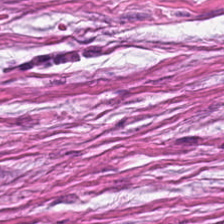Formalin-fixed paraffin-embedded section. Brightfield. H&E-stained tissue section — Q: What is the predominant tissue type?
A: This is tumor-associated stroma.
